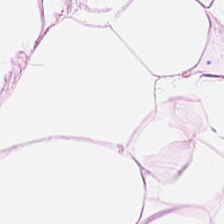FFPE tissue section · 0.5 microns per pixel · H&E-stained tissue section. Q: What tissue is shown?
A: It is fat tissue.
